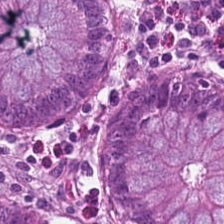H&E patch showing non-neoplastic colon mucosa.
